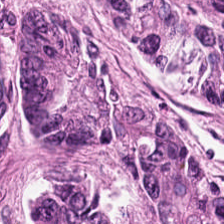H&E stain — The predominant tissue is colorectal adenocarcinoma epithelium.
